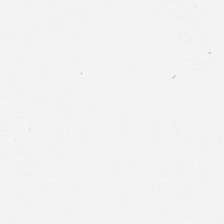Hematoxylin-and-eosin stained section.
Classification = empty background.
